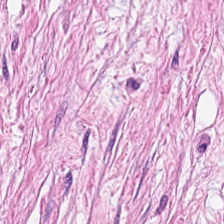Q: Classify this patch.
A: It is desmoplastic stroma.
